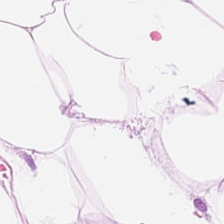Stain: hematoxylin-and-eosin stained section.
Preparation: formalin-fixed paraffin-embedded section.
Acquisition: whole-slide-image patch.
Tissue class: fat tissue.
